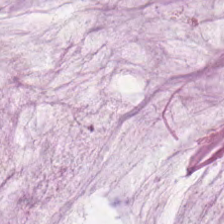Impression → mucus.
